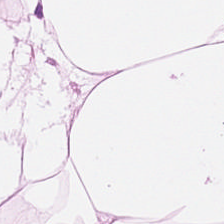This field is adipose.
